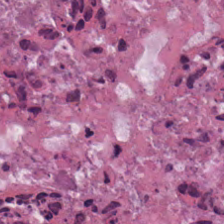224×224 px patch · hematoxylin and eosin — Tissue: debris.
